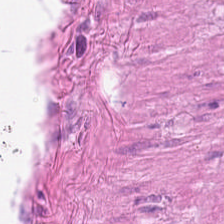{"tissue_type": "smooth muscle"}
